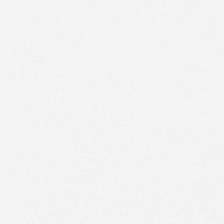Empty field — background.
